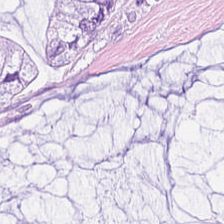Q: Classify this patch.
A: The field shows mucus.
